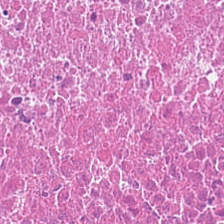Hematoxylin-and-eosin stained section. 0.5 µm per pixel. Q: What is shown in this field?
A: It is cellular debris.
